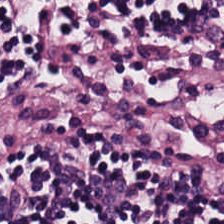Hematoxylin and eosin.
Q: What type of tissue is this?
A: The field shows lymphoid infiltrate.
